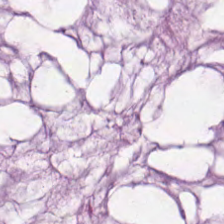FFPE tissue section. H&E stain. This patch shows mucin.
